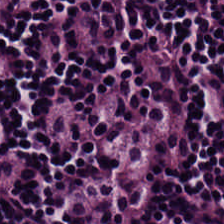H&E-stained section; the field shows lymphocyte aggregate.
